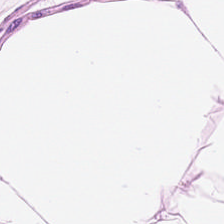H&E stain.
Classification: adipose.
